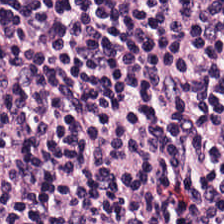FFPE · hematoxylin-and-eosin stained section · WSI patch.
This patch shows lymphocytic infiltrate.
